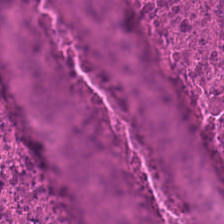Stain: H&E-stained tissue section.
Predominant tissue: necrotic debris.
